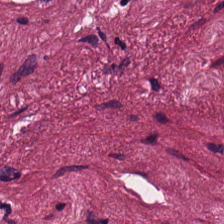Hematoxylin-and-eosin stained section. Predominant tissue = tumor stroma.
